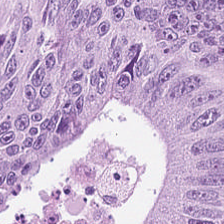H&E stain. Adenocarcinoma.
